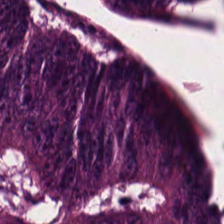Classification: tumor epithelium.
